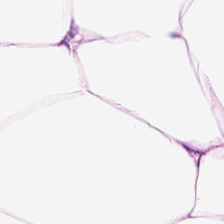Hematoxylin and eosin — The tissue is fat tissue.
